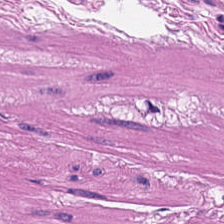Impression — muscularis.
